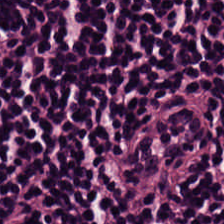H&E.
The classification is lymphoid infiltrate.
